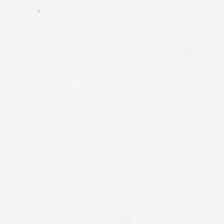Hematoxylin and eosin. Impression — empty background.
